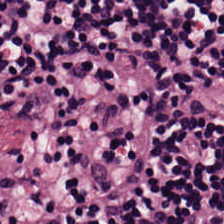Hematoxylin-and-eosin section: lymphocytes.
